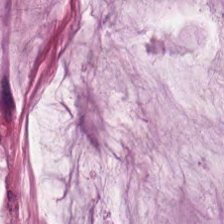H&E stain.
Q: What does this patch show?
A: This is mucin.
